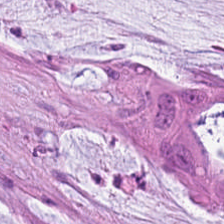Hematoxylin and eosin — Q: What tissue type is shown here?
A: The field shows mucus.
